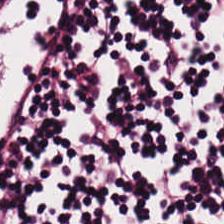H&E-stained tissue section. Q: Identify the tissue.
A: The field shows lymphocytic infiltrate.
